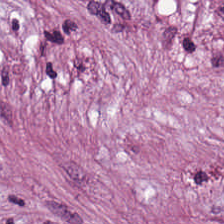H&E stain · 0.5 µm per pixel — This field is cancer-associated stroma.
